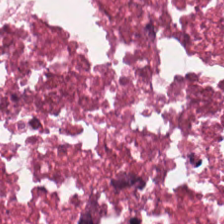Stain: H&E stain.
Tissue: debris.
